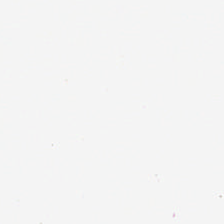20× equivalent magnification; 224×224 pixel tile; hematoxylin-and-eosin stained section — This field is background (no tissue).
